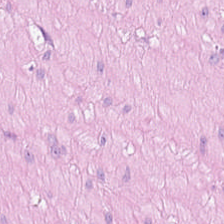H&E patch showing smooth-muscle tissue.
